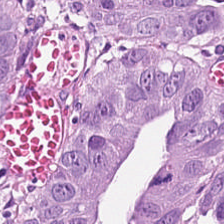Classification — colorectal adenocarcinoma.
